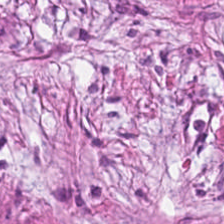H&E patch showing desmoplastic stroma.
